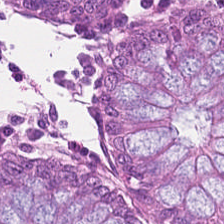Hematoxylin and eosin. Tissue type: non-neoplastic colon mucosa.
